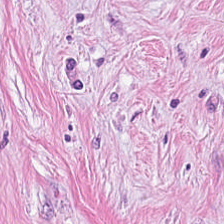The tissue type is desmoplastic stroma.
